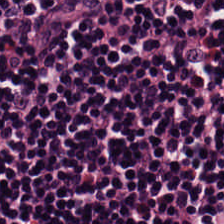H&E — Tissue — lymphoid infiltrate.
